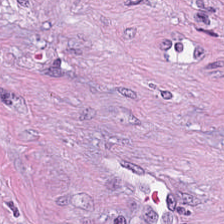H&E-stained tissue section · WSI patch — Tissue: tumor-associated stroma.
